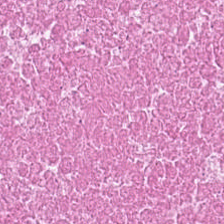Showing debris.
